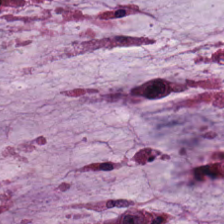Hematoxylin-and-eosin stained section; 0.5 µm per pixel — Mucin.
